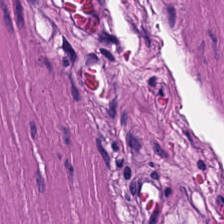Hematoxylin-and-eosin section: smooth-muscle tissue.
